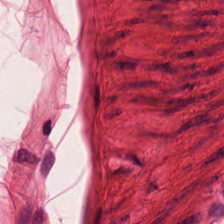WSI patch · H&E — Q: Identify the tissue.
A: The field shows smooth-muscle tissue.
